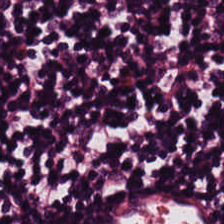0.5 µm/px; WSI patch; H&E-stained tissue section. This patch shows lymphoid infiltrate.
